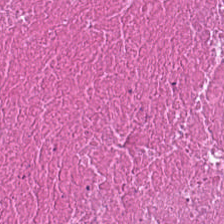Hematoxylin and eosin. 224×224 px tile — The tissue type is necrotic debris.
